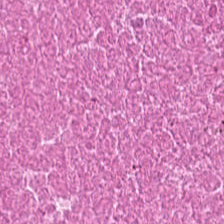The tissue here is cellular debris.
